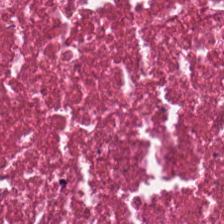Formalin-fixed paraffin-embedded section; hematoxylin and eosin; 20× equivalent magnification — Histology → debris.
